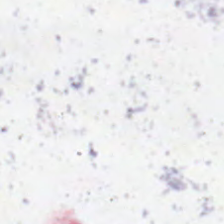Hematoxylin-and-eosin stained section. 224×224 pixel tile.
Finding → background.
